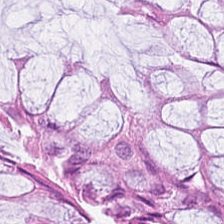H&E. Predominantly normal colon mucosa.
